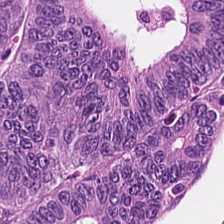H&E-stained tissue section · 0.5 µm per pixel.
Classification — malignant epithelium.
